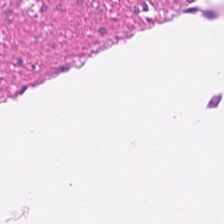Hematoxylin-and-eosin stained section — Showing muscularis.
